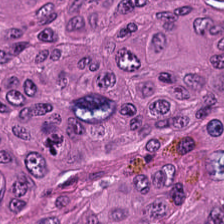Hematoxylin and eosin. FFPE tissue section. The predominant tissue is colorectal adenocarcinoma.
